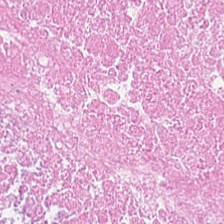H&E stain; 0.5 microns per pixel — Tissue class = debris.
